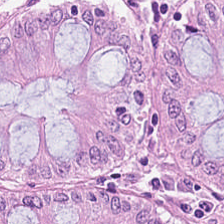Stain: H&E-stained tissue section.
Resolution: 0.5 microns per pixel.
Tile size: 224×224 px tile.
Tissue: benign colonic mucosa.
